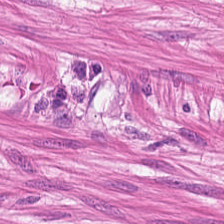Stain: H&E stain.
Tile size: 224×224 px patch.
Acquisition: whole-slide-image patch.
Predominant tissue: smooth muscle.
